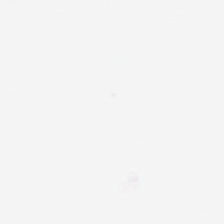224×224 px patch. FFPE. Hematoxylin and eosin — Empty field — background.
